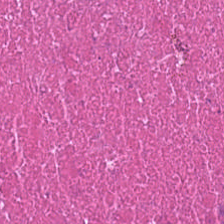Predominantly cellular debris.
